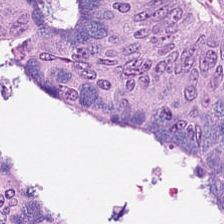Histology → malignant epithelium.
